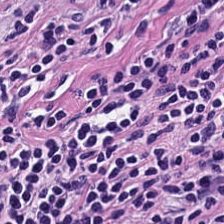Hematoxylin-and-eosin stained section.
The tissue here is lymphocytic infiltrate.
